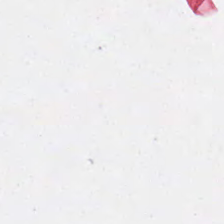H&E-stained tissue section. Impression — background (no tissue).
